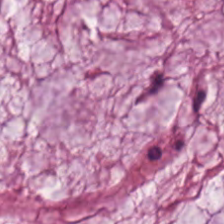Hematoxylin-and-eosin stained section. Showing mucin.
